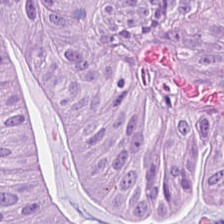FFPE tissue section · hematoxylin and eosin — Impression → tumor epithelium.
